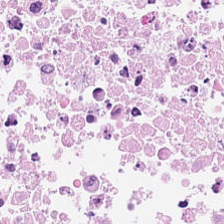Stain: H&E stain.
Tissue type: cellular debris.
